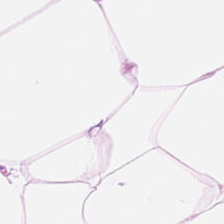Hematoxylin and eosin. This field is adipose tissue.
